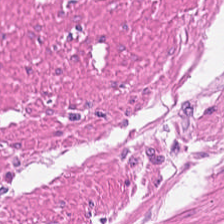H&E; FFPE. Classification = muscularis.
